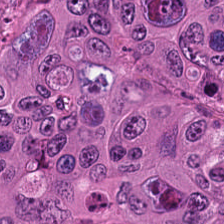Hematoxylin-and-eosin stained section; 224×224 px tile.
Predominantly malignant epithelium.
